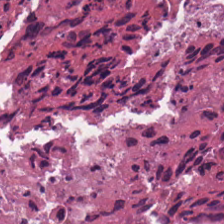Q: Identify the tissue.
A: This is debris.
